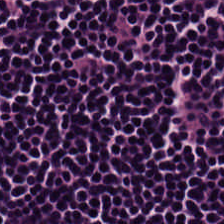H&E; whole-slide-image patch; 224×224 px patch. Tissue type = lymphocytes.
